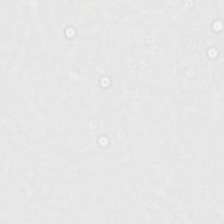0.5 microns per pixel. 224×224 px patch. H&E stain. Q: What is shown in this field?
A: This is background (no tissue).
